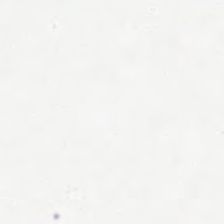H&E. Whole-slide-image patch. FFPE — The classification is background.
